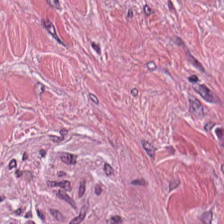Formalin-fixed paraffin-embedded section · 0.5 µm/px · hematoxylin-and-eosin stained section.
Histology → desmoplastic stroma.
